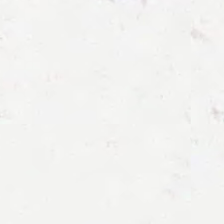Q: What does this patch show?
A: This is empty background.
